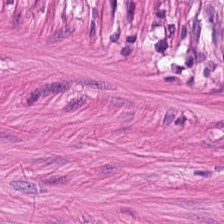224×224 px patch · whole-slide-image patch · H&E stain. Showing smooth muscle.
